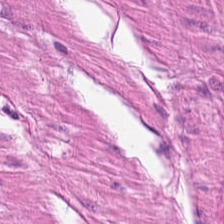H&E-stained tissue section. Predominantly smooth muscle.
